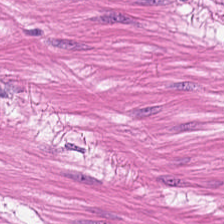Hematoxylin-and-eosin stained section; 224×224 px patch.
Predominantly smooth-muscle tissue.
